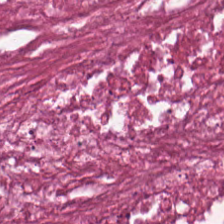Brightfield. 0.5 microns per pixel. Hematoxylin and eosin. The tissue here is debris.
